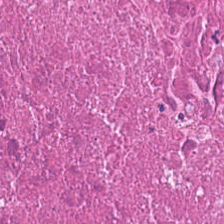Stain: H&E stain.
Predominant tissue: cellular debris.
